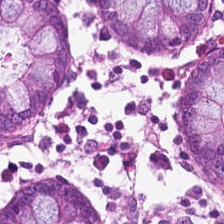This field is non-neoplastic colon mucosa.
